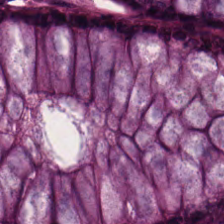Hematoxylin-and-eosin stained section.
Q: Classify this patch.
A: It is benign colonic mucosa.
